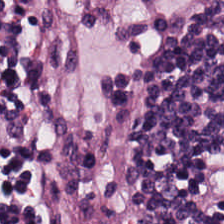The tissue here is lymphocyte aggregate.
